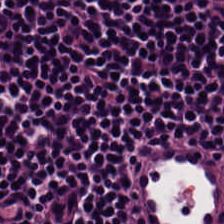Q: What is shown here?
A: This is lymphocytic infiltrate.
